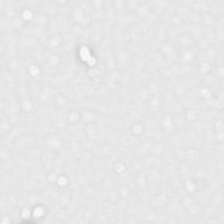H&E stain — Q: What does this patch show?
A: It is background.
